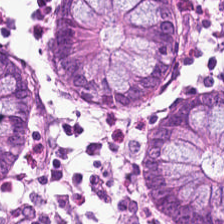Q: Classify this patch.
A: Benign colonic mucosa.
